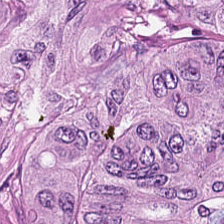H&E — Predominant tissue — colorectal adenocarcinoma epithelium.
